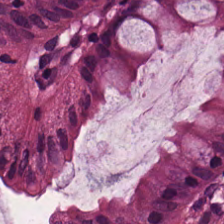Stain: H&E.
Preparation: formalin-fixed paraffin-embedded section.
Tissue: normal colonic mucosa.
